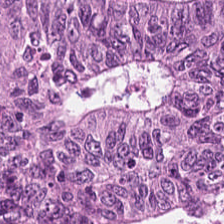FFPE tissue section; H&E-stained tissue section. Histology — colorectal adenocarcinoma.
